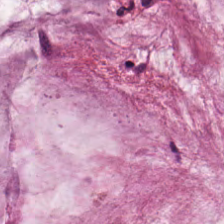Stain: H&E stain.
Acquisition: whole-slide-image patch.
Tissue type: extracellular mucin.
